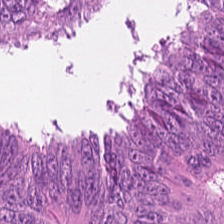0.5 microns per pixel; hematoxylin-and-eosin stained section — Tissue type = adenocarcinoma.
